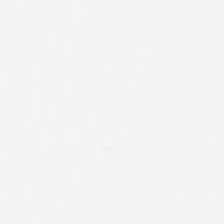Hematoxylin and eosin. 224×224 pixel tile.
Empty field — background (no tissue).
